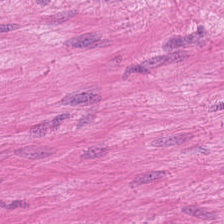H&E-stained tissue section.
Classification = muscularis.
